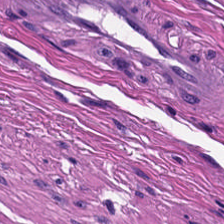H&E — Predominantly smooth muscle.
